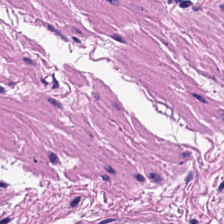Hematoxylin and eosin.
{"tissue_type": "smooth muscle"}
